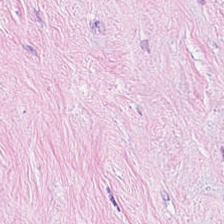Hematoxylin-and-eosin stained section — Predominant tissue = cancer-associated stroma.
